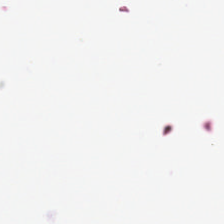Q: Classify this patch.
A: It is no tissue.
